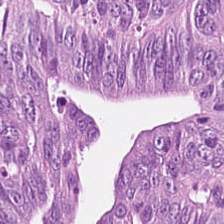Hematoxylin and eosin; 0.5 µm per pixel. Histology → colorectal adenocarcinoma epithelium.
